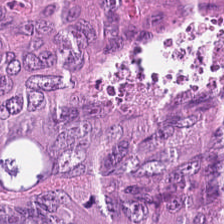H&E stain.
Tissue type: tumor epithelium.
